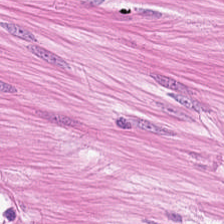Brightfield; formalin-fixed paraffin-embedded section; H&E stain. The tissue here is muscularis.
